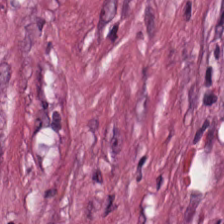The predominant tissue is cancer-associated stroma.
